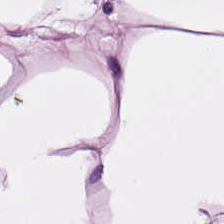Brightfield. H&E-stained tissue section. 0.5 microns per pixel.
Impression → adipocytes.
